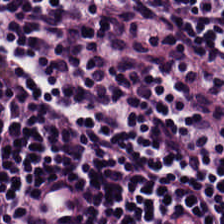Stain: hematoxylin and eosin.
Resolution: 20× equivalent magnification.
Tissue: lymphocyte aggregate.
